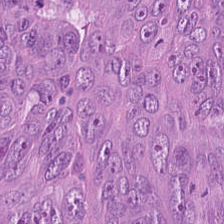The classification is tumor epithelium.
